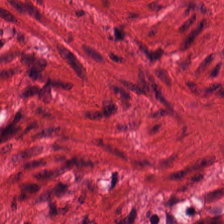WSI patch; 20× equivalent magnification; hematoxylin and eosin. Impression — muscularis.
